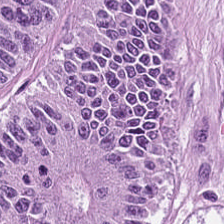Classification = malignant epithelium.
